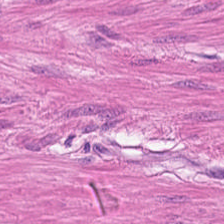Hematoxylin and eosin; formalin-fixed paraffin-embedded section.
Tissue class = muscularis.
